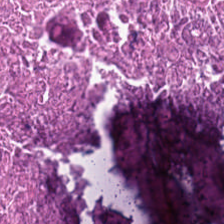FFPE. H&E stain — Predominantly necrotic debris.
